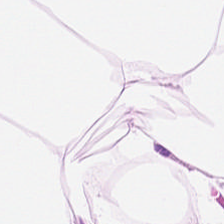H&E — Finding → adipose.
